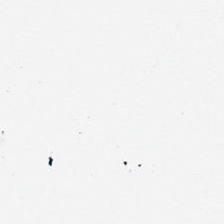This field is background (no tissue).
